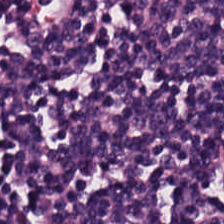This patch shows lymphocytes.
